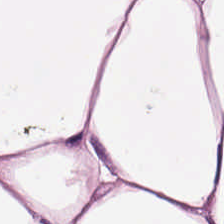Brightfield. H&E stain. 224×224 pixel tile. {"tissue_type": "adipocytes"}
